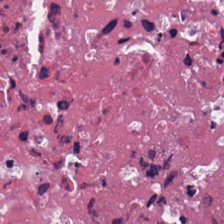H&E-stained tissue section. Brightfield.
Q: Identify the tissue.
A: It is cellular debris.
